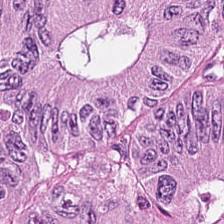Finding → malignant epithelium.
